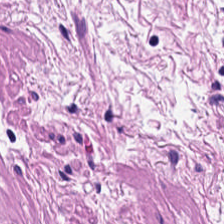Whole-slide-image patch; 0.5 microns per pixel; hematoxylin and eosin — The predominant tissue is smooth muscle.
